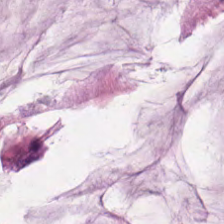H&E patch showing mucin.
